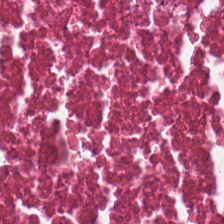H&E-stained tissue section.
Showing debris.
